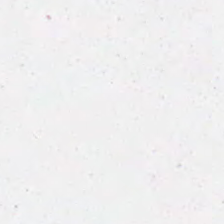Hematoxylin and eosin. No tissue.
